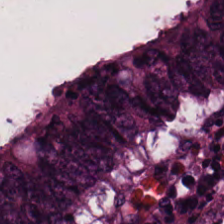Hematoxylin and eosin — The tissue here is colorectal adenocarcinoma.
